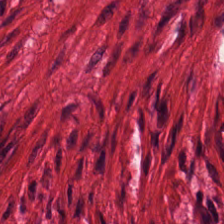H&E-stained tissue section.
Classification: muscularis.
